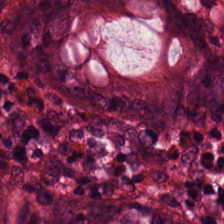H&E-stained tissue section; 0.5 microns per pixel — Predominant tissue: normal colon mucosa.
